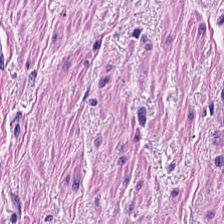H&E; 0.5 µm/px — Impression — muscularis.
